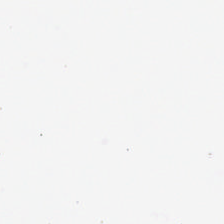Hematoxylin and eosin.
Background — no tissue in this field.
